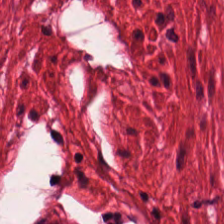H&E stain. Finding — smooth-muscle tissue.
